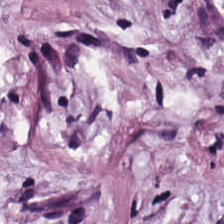H&E stain.
This patch shows tumor-associated stroma.
